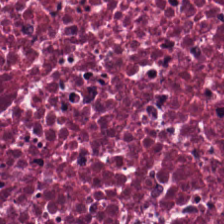H&E; whole-slide-image patch. Impression — necrotic debris.
